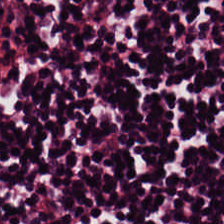Hematoxylin-and-eosin stained section; FFPE. Tissue: lymphocytes.
